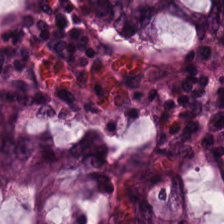H&E — Q: What is shown in this field?
A: This is non-neoplastic colon mucosa.
